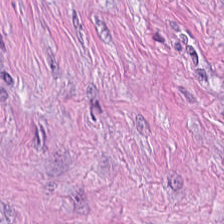Stain: hematoxylin-and-eosin stained section.
Tissue type: tumor-associated stroma.
